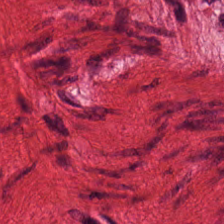224×224 pixel tile · H&E stain · FFPE. Tissue type — smooth muscle.
